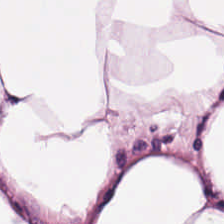Stain: H&E stain.
Preparation: FFPE tissue section.
Tissue class: fat tissue.
